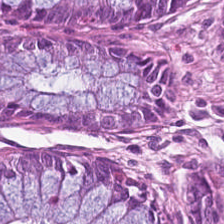Tissue class = normal colonic mucosa.
